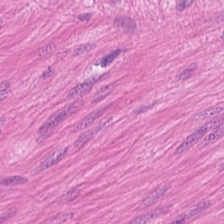Stain: hematoxylin and eosin.
Tissue class: muscularis.
